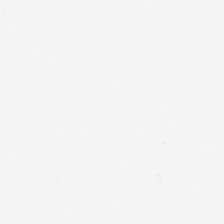H&E-stained tissue section; FFPE. This patch shows background.
